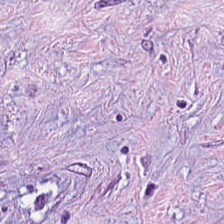H&E; 20× equivalent magnification; WSI patch — The predominant tissue is desmoplastic stroma.
